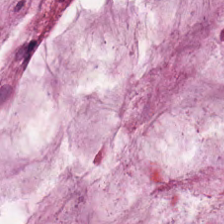Hematoxylin-and-eosin stained section.
The tissue class is extracellular mucin.
